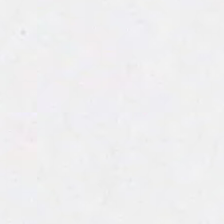H&E stain. 0.5 µm per pixel — Q: What is shown in this field?
A: Background.
